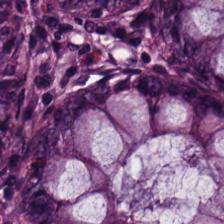Classification = non-neoplastic colon mucosa.
